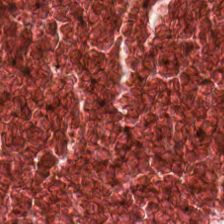Stain: H&E-stained tissue section.
Resolution: 0.5 µm per pixel.
Acquisition: whole-slide-image patch.
Classification: cellular debris.
